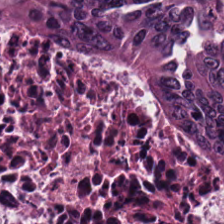Hematoxylin-and-eosin stained section.
Tissue — malignant epithelium.
